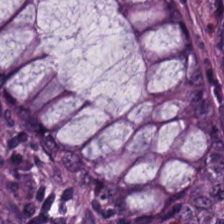Whole-slide-image patch. H&E.
Showing non-neoplastic colon mucosa.
